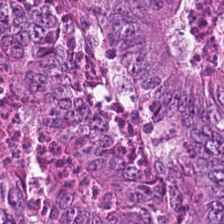Q: Identify the tissue.
A: This is colorectal adenocarcinoma epithelium.
